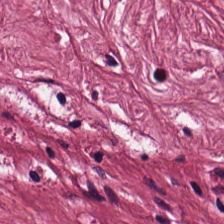Formalin-fixed paraffin-embedded section. Hematoxylin-and-eosin stained section.
Predominantly tumor stroma.
